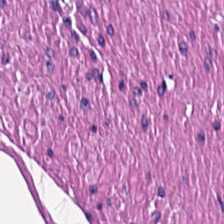Tissue = muscularis.
